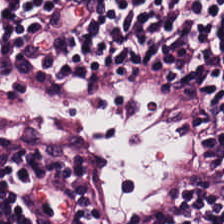Q: What tissue is shown?
A: Lymphocyte aggregate.
